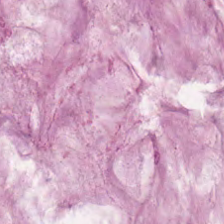0.5 µm/px · H&E stain · 224×224 px patch.
Finding — extracellular mucin.
